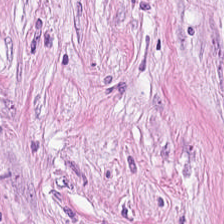The tissue class is desmoplastic stroma.
